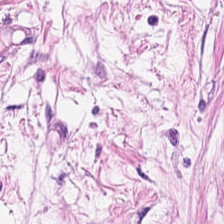Hematoxylin-and-eosin section: desmoplastic stroma.
